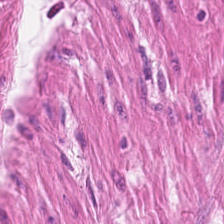Hematoxylin and eosin.
Tissue type — smooth muscle.
